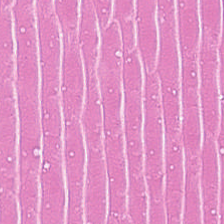Predominant tissue — cellular debris.
